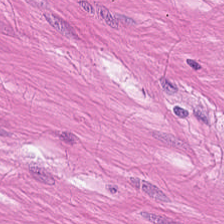WSI patch. H&E stain — This patch shows smooth-muscle tissue.
